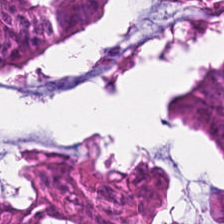0.5 microns per pixel · H&E-stained tissue section — Q: Identify the tissue.
A: It is colorectal adenocarcinoma.
